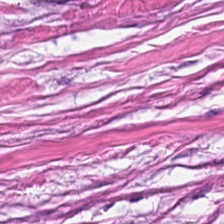FFPE tissue section · H&E stain — The predominant tissue is cancer-associated stroma.
